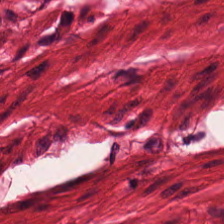This field is muscularis.
